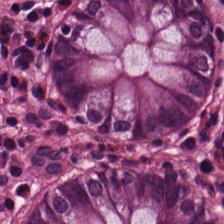Hematoxylin and eosin. WSI patch — Histology — benign colonic mucosa.
